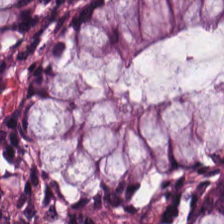Hematoxylin and eosin — The predominant tissue is non-neoplastic colon mucosa.
